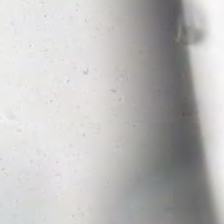Hematoxylin-and-eosin stained section — Empty background.
